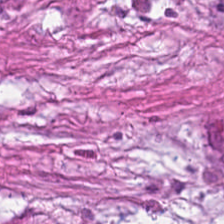Tissue type: tumor stroma.
